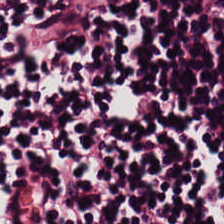Tissue: lymphoid infiltrate.
